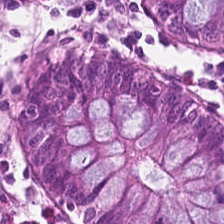H&E-stained tissue section. Tissue — benign colonic mucosa.
